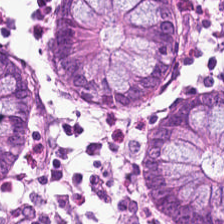H&E.
Showing benign colonic mucosa.
